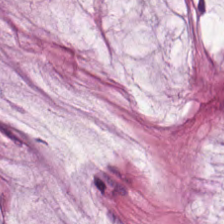Hematoxylin and eosin. Finding — extracellular mucin.
